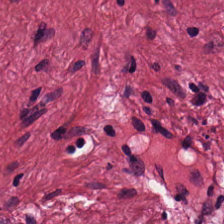Cancer-associated stroma.
